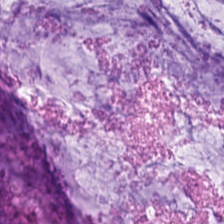Stain: H&E.
Predominant tissue: extracellular mucin.
